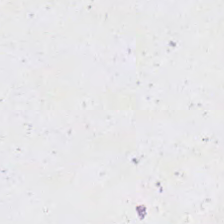H&E.
Q: What is shown here?
A: The field shows background.
